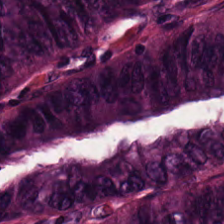Hematoxylin-and-eosin stained section. {"tissue_type": "malignant epithelium"}
